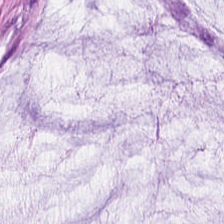Hematoxylin-and-eosin stained section. WSI patch.
Histology → extracellular mucin.
